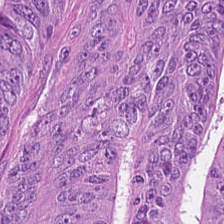Hematoxylin-and-eosin stained section.
Q: Identify the tissue.
A: This is malignant epithelium.
